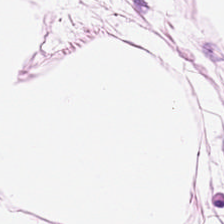Histology → adipose tissue.
